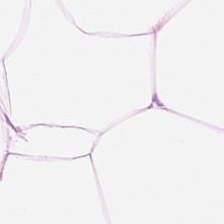H&E.
This patch shows fat tissue.
